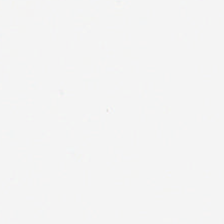H&E · 224×224 px tile — Q: What does this patch show?
A: The field shows background.
